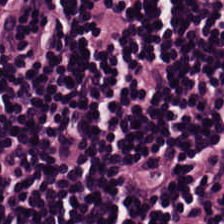Tissue type — lymphocytic infiltrate.
